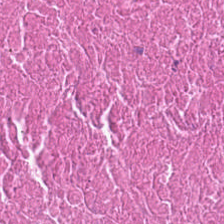Hematoxylin and eosin; 0.5 microns per pixel.
Impression — cellular debris.
